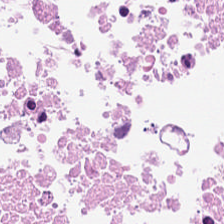Hematoxylin and eosin. FFPE tissue section — The predominant tissue is cellular debris.
